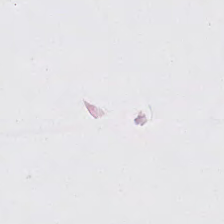Field content = empty background.
